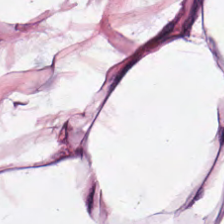Stain: hematoxylin and eosin.
Classification: adipocytes.
